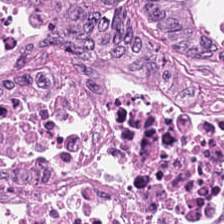{"tissue_type": "tumor epithelium"}
